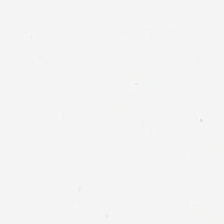Q: What is shown here?
A: This is background.
